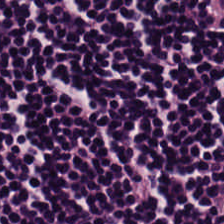Brightfield microscopy; H&E-stained tissue section.
Q: What is the predominant tissue type?
A: This is lymphoid infiltrate.
